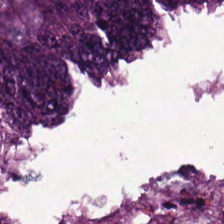Hematoxylin and eosin. Q: What type of tissue is this?
A: This is adenocarcinoma.
